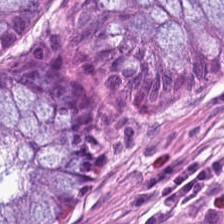The predominant tissue is benign colonic mucosa.
